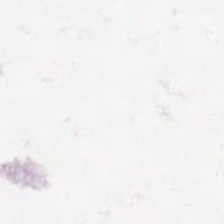Finding → empty background.
